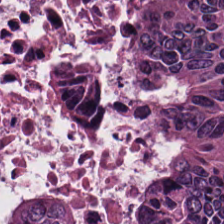Hematoxylin and eosin.
{"tissue_type": "adenocarcinoma"}
